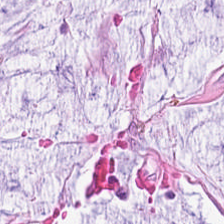H&E.
Mucin.
